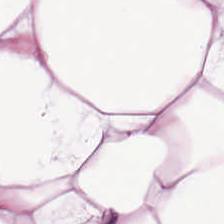Hematoxylin and eosin.
The classification is adipocytes.
